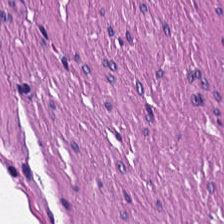Hematoxylin and eosin — Q: What is shown here?
A: It is smooth muscle.
